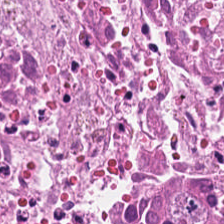Stain: H&E-stained tissue section.
Preparation: formalin-fixed paraffin-embedded section.
Tile size: 224×224 pixel tile.
Tissue: debris.
